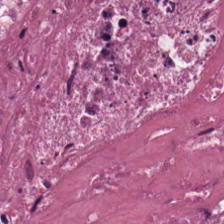Tissue: cellular debris.
